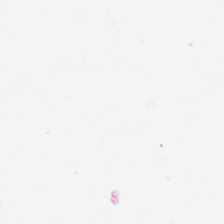Brightfield microscopy. 224×224 pixel tile. Hematoxylin-and-eosin stained section.
Field content — empty background.
